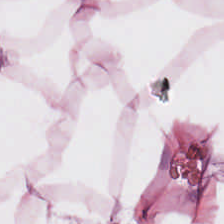Stain: H&E-stained tissue section.
Classification: adipose tissue.
